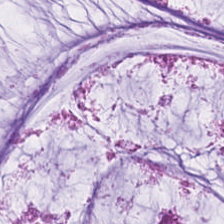H&E stain. Showing extracellular mucin.
